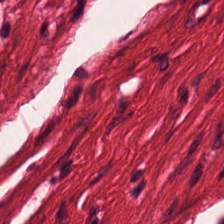Q: What tissue is shown?
A: The field shows smooth-muscle tissue.
